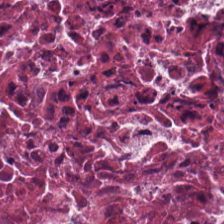Hematoxylin-and-eosin stained section. Necrotic debris.
